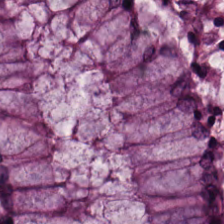H&E. 224×224 px tile — Q: Classify this patch.
A: Normal colonic mucosa.
